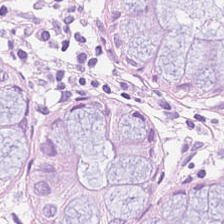0.5 microns per pixel · hematoxylin-and-eosin stained section.
Non-neoplastic colon mucosa.
